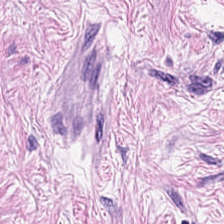H&E — Q: Identify the tissue.
A: This is desmoplastic stroma.
